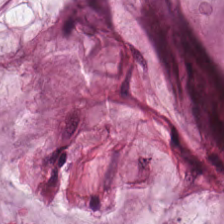Tissue type — extracellular mucin.
